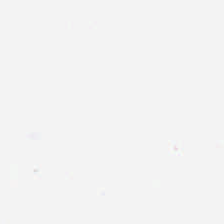Field content — background (no tissue).
